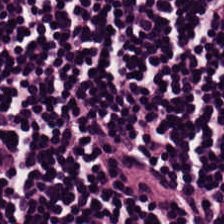Predominantly lymphoid infiltrate.
